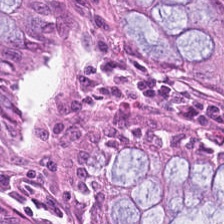Stain: hematoxylin-and-eosin stained section.
Tissue type: normal colon mucosa.
